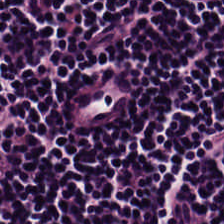Stain: H&E-stained tissue section.
Tile size: 224×224 pixel tile.
Predominant tissue: lymphocytes.
